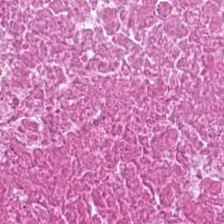The classification is debris.
